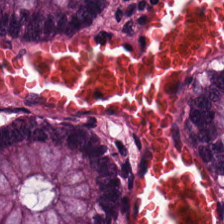Whole-slide-image patch. 224×224 pixel tile. H&E stain — Impression — benign colonic mucosa.
